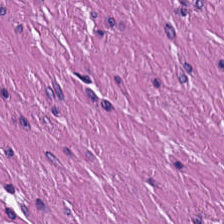0.5 µm per pixel; 224×224 pixel tile; H&E-stained tissue section — {"tissue_type": "smooth muscle"}
